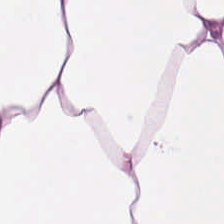H&E-stained section; the field shows adipose.
